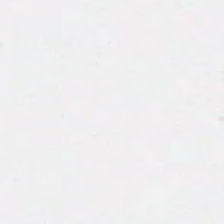This field is background (no tissue).
